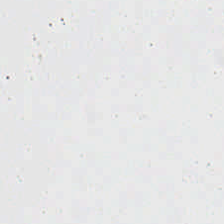Histology — background.
